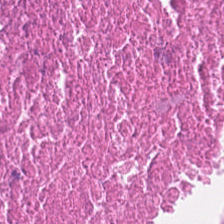Hematoxylin-and-eosin stained section — The tissue here is cellular debris.
